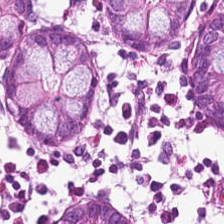Formalin-fixed paraffin-embedded section; H&E stain. The predominant tissue is normal colon mucosa.
